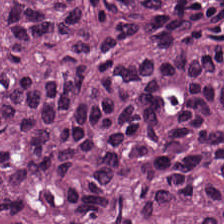Hematoxylin and eosin — Tissue type = colorectal adenocarcinoma epithelium.
